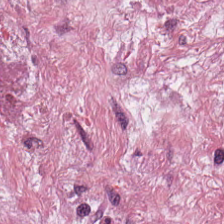H&E stain — Predominant tissue — cancer-associated stroma.
